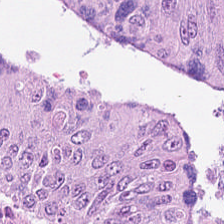FFPE; 224×224 pixel tile; hematoxylin and eosin.
The tissue here is colorectal adenocarcinoma epithelium.
